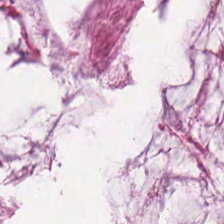This patch shows mucus.
